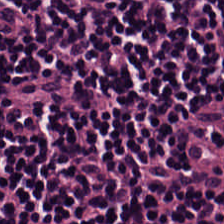The tissue is lymphocytes.
